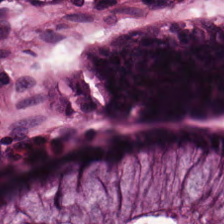H&E stain. 224×224 px patch. FFPE. Tissue class: normal colonic mucosa.
